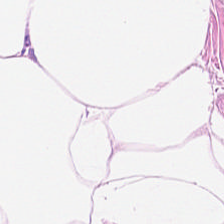H&E stain — This patch shows adipose.
